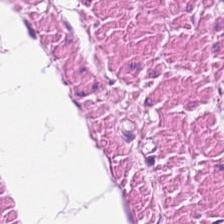H&E — Smooth muscle.
